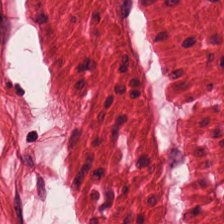Hematoxylin-and-eosin stained section — Tissue class — smooth muscle.
